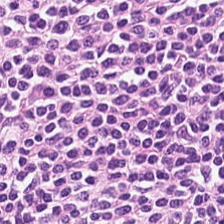Hematoxylin-and-eosin stained section — The tissue is lymphocyte aggregate.
